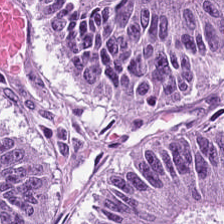Tissue type = colorectal adenocarcinoma.
